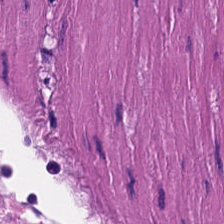H&E-stained tissue section; 224×224 pixel tile. Finding → smooth-muscle tissue.
